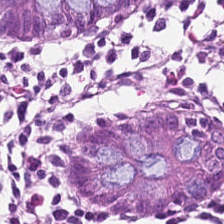0.5 µm/px · H&E — Impression — non-neoplastic colon mucosa.
